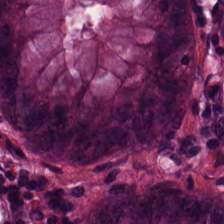0.5 µm per pixel · H&E-stained tissue section — Tissue class = normal colon mucosa.
